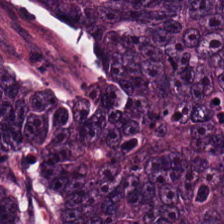H&E.
Predominantly colorectal adenocarcinoma.
